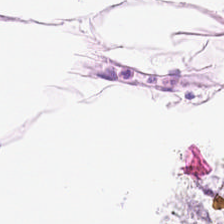Stain: H&E-stained tissue section.
Tissue class: adipose.
